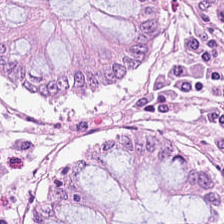Brightfield; hematoxylin and eosin — This field is normal colon mucosa.
